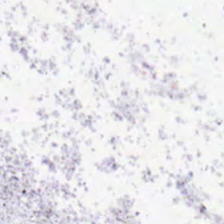Finding — background (no tissue).
